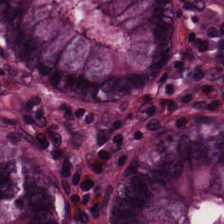FFPE · H&E stain.
Benign colonic mucosa.
